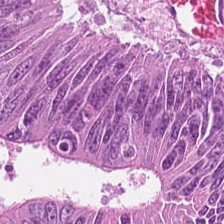Hematoxylin and eosin.
The classification is colorectal adenocarcinoma epithelium.
